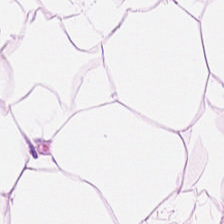Showing adipose.
